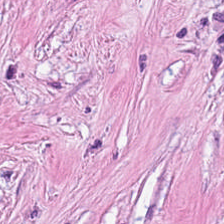FFPE tissue section. H&E-stained tissue section — Showing desmoplastic stroma.
